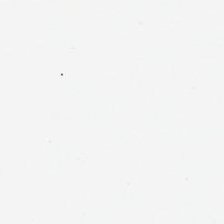Stain: H&E-stained tissue section.
Field content: background.
